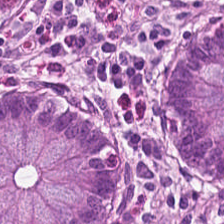H&E stain. Q: What is shown in this field?
A: This is non-neoplastic colon mucosa.
